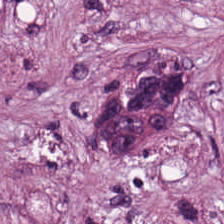Impression → tumor-associated stroma.
